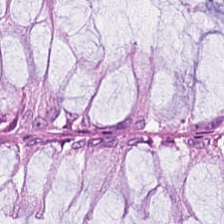Classification = normal colonic mucosa.
